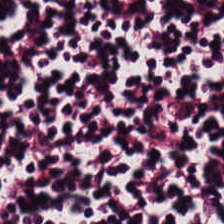H&E-stained tissue section — Lymphocytic infiltrate.
